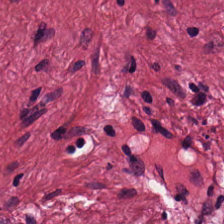Hematoxylin-and-eosin stained section.
The predominant tissue is tumor-associated stroma.
